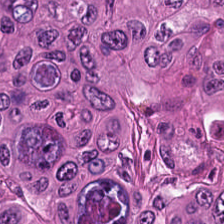The tissue class is colorectal adenocarcinoma epithelium.
